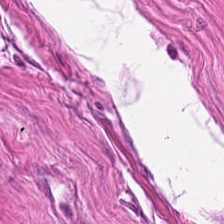Stain: hematoxylin-and-eosin stained section.
Tile size: 224×224 pixel tile.
Tissue class: smooth-muscle tissue.
